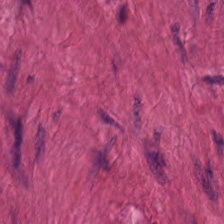Hematoxylin and eosin; 20× equivalent magnification; brightfield microscopy.
Tissue: smooth muscle.
